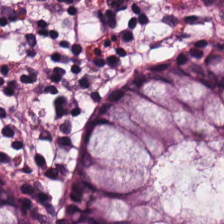Hematoxylin and eosin.
Finding — non-neoplastic colon mucosa.
